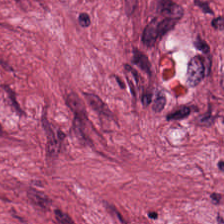Hematoxylin-and-eosin stained section — Tissue class = desmoplastic stroma.
